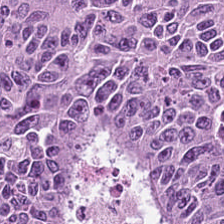H&E stain — Impression → tumor epithelium.
